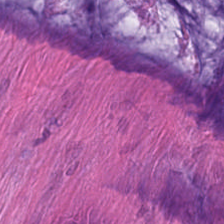Predominantly extracellular mucin.
